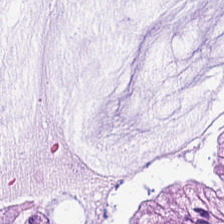Stain: H&E-stained tissue section.
Tile size: 224×224 pixel tile.
Classification: mucin.
